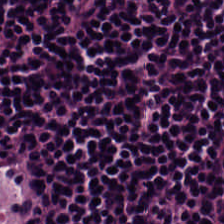Whole-slide-image patch. Hematoxylin-and-eosin stained section. Lymphocytes.
